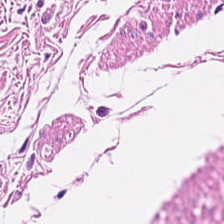H&E. This field is smooth muscle.
